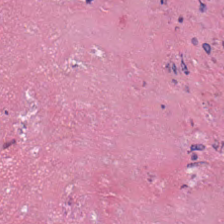Whole-slide-image patch; 224×224 px patch; hematoxylin and eosin.
The tissue here is cellular debris.
